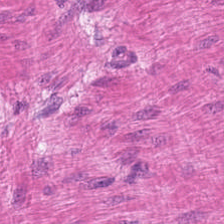Hematoxylin-and-eosin stained section.
This patch shows smooth-muscle tissue.
